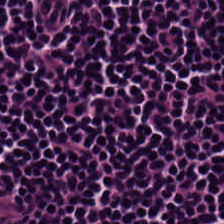H&E-stained tissue section. Q: What is shown here?
A: Lymphocytes.
